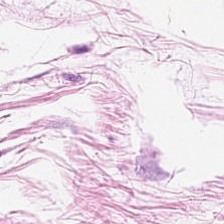H&E stain · FFPE — The tissue here is adipose.
